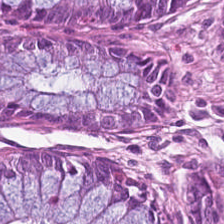Formalin-fixed paraffin-embedded section. H&E-stained tissue section. 224×224 pixel tile.
Predominant tissue — normal colonic mucosa.
